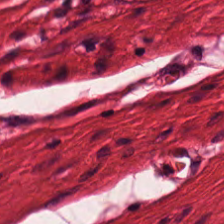The tissue here is smooth muscle.
